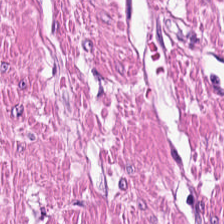Finding → muscularis.
